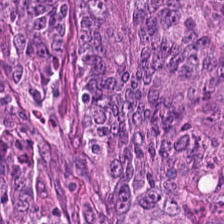H&E stain; 224×224 px patch; 0.5 µm per pixel. The predominant tissue is colorectal adenocarcinoma epithelium.
